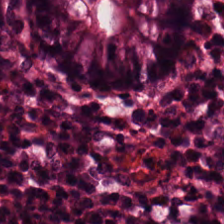Hematoxylin and eosin · 224×224 px patch. Impression — benign colonic mucosa.
